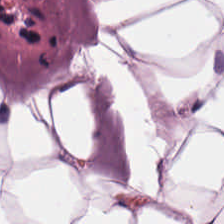Hematoxylin-and-eosin stained section.
Q: What does this patch show?
A: It is adipocytes.
